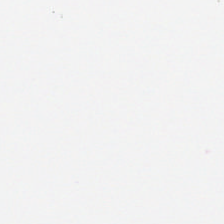Hematoxylin-and-eosin stained section.
No tissue present; background only.
